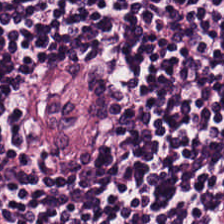Hematoxylin-and-eosin stained section. Q: What tissue type is shown here?
A: Lymphocytic infiltrate.
